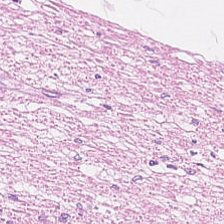This patch shows muscularis.
